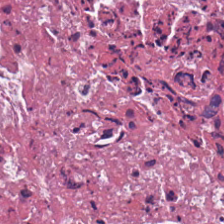Hematoxylin and eosin; FFPE tissue section; brightfield — The tissue is necrotic debris.
